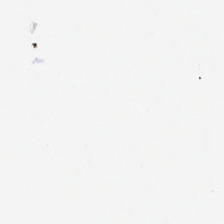Content: empty background.
